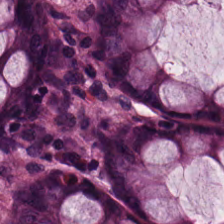Hematoxylin and eosin — Q: What does this patch show?
A: Non-neoplastic colon mucosa.
